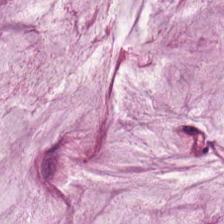H&E. Histology — mucus.
